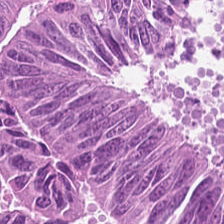Whole-slide-image patch · FFPE · hematoxylin and eosin. Predominant tissue: malignant epithelium.
